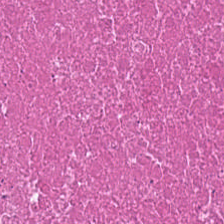H&E-stained section; the field shows debris.
